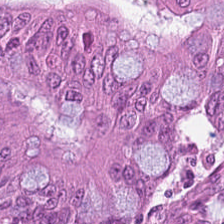Hematoxylin and eosin — This field is adenocarcinoma.
